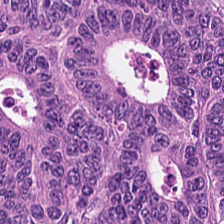Stain: hematoxylin-and-eosin stained section.
Classification: tumor epithelium.
